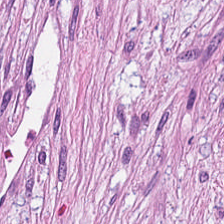H&E stain. Q: What is shown in this field?
A: This is cancer-associated stroma.
